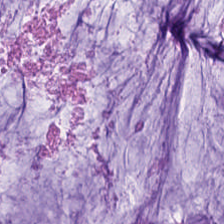H&E stain. {"tissue_type": "mucus"}
